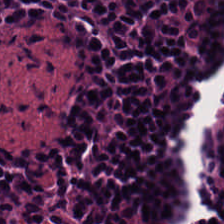Q: What does this patch show?
A: The field shows lymphocytic infiltrate.
